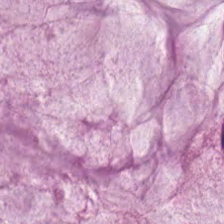Hematoxylin and eosin — Classification = mucus.
